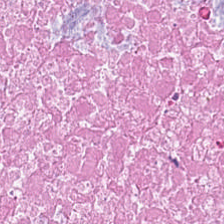H&E stain — This patch shows debris.
